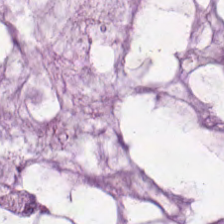224×224 pixel tile; hematoxylin and eosin. Predominantly mucin.
